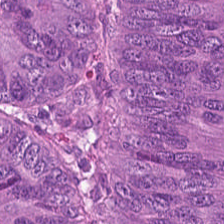Hematoxylin and eosin — Predominantly colorectal adenocarcinoma.
